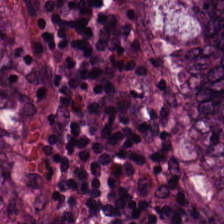Stain: H&E stain.
Tissue class: colorectal adenocarcinoma epithelium.
